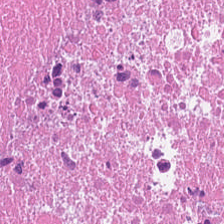224×224 px tile; 0.5 µm/px; H&E-stained tissue section — Histology → debris.
